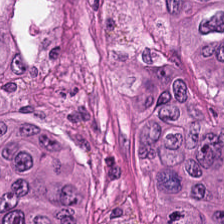H&E-stained tissue section showing malignant epithelium.
